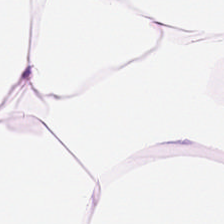Hematoxylin-and-eosin stained section; 0.5 microns per pixel; WSI patch.
Adipose.
